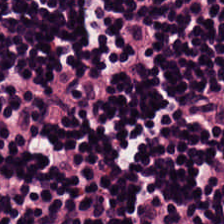Hematoxylin and eosin. Formalin-fixed paraffin-embedded section. Whole-slide-image patch — Classification = lymphocytic infiltrate.
